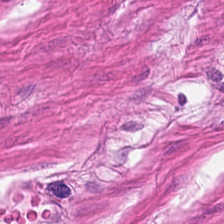Hematoxylin and eosin.
Tissue type = smooth muscle.
